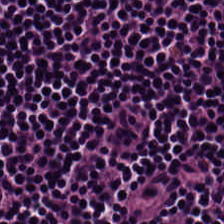H&E — Predominantly lymphocytes.
